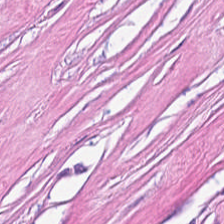Tissue class = tumor stroma.
